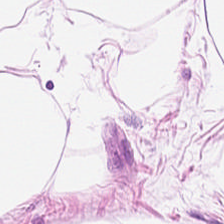Stain: H&E.
Resolution: 0.5 µm per pixel.
Acquisition: whole-slide-image patch.
Tissue class: adipose tissue.
